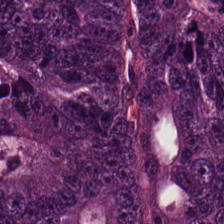Brightfield microscopy; 0.5 µm per pixel; H&E — Predominant tissue: malignant epithelium.
